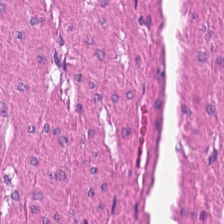Stain: hematoxylin-and-eosin stained section.
Acquisition: brightfield microscopy.
Predominant tissue: smooth muscle.
